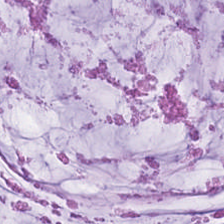224×224 px patch. Hematoxylin and eosin — Mucin.
